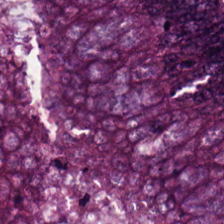224×224 pixel tile · H&E-stained tissue section · 20× equivalent magnification. Tissue type = adenocarcinoma.
